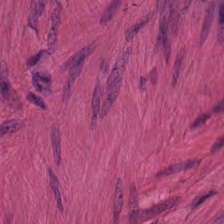Predominantly muscularis.
